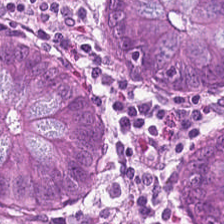H&E.
Tissue = normal colon mucosa.
